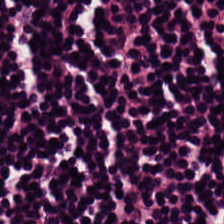Hematoxylin and eosin · 224×224 px tile · 0.5 µm per pixel — The tissue here is lymphocyte aggregate.
